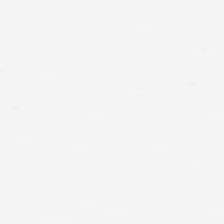Stain: H&E stain.
Field content: no tissue.
